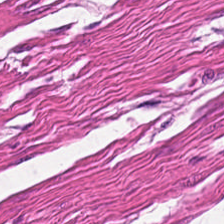H&E stain. Q: What is shown in this field?
A: This is smooth muscle.
